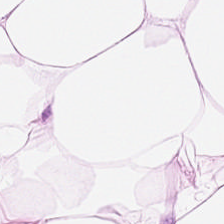Predominantly adipose.
